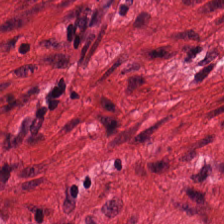Hematoxylin and eosin. This field is smooth-muscle tissue.
